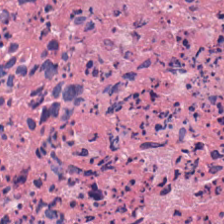WSI patch. Hematoxylin and eosin. FFPE.
Showing debris.
